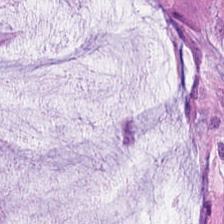Hematoxylin-and-eosin stained section. Q: Classify this patch.
A: The field shows extracellular mucin.
